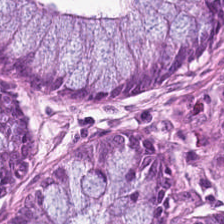Hematoxylin-and-eosin stained section. Whole-slide-image patch. Q: What is the predominant tissue type?
A: This is non-neoplastic colon mucosa.
